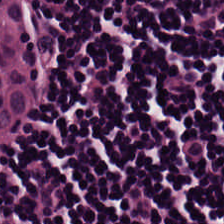H&E; FFPE tissue section. Lymphocytic infiltrate.
